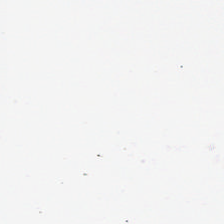224×224 px patch · whole-slide-image patch · H&E stain — Q: What does this patch show?
A: The field shows empty background.
